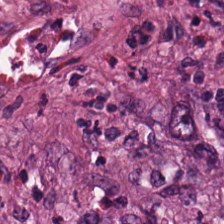Tissue class = tumor-associated stroma.
